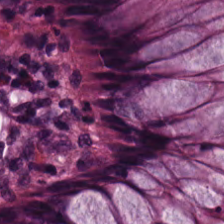H&E patch showing normal colon mucosa.
